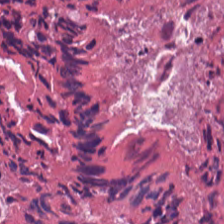Q: What does this patch show?
A: This is debris.
